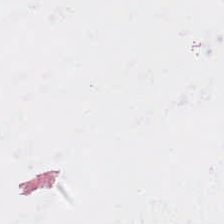FFPE tissue section · hematoxylin and eosin. Background — no tissue in this field.
